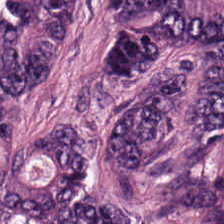Hematoxylin and eosin. Q: Classify this patch.
A: It is colorectal adenocarcinoma epithelium.
